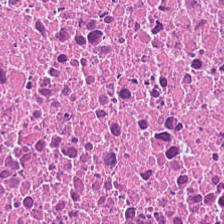H&E-stained section; the field shows debris.
